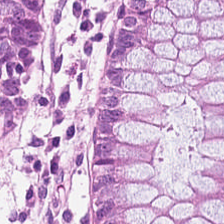H&E stain — Predominant tissue — non-neoplastic colon mucosa.
